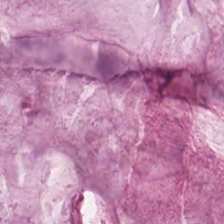H&E. Finding → mucin.
